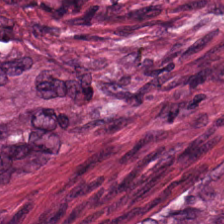H&E-stained tissue section.
Tissue — tumor-associated stroma.
